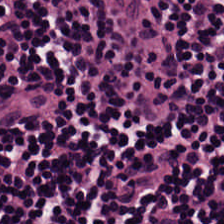Hematoxylin-and-eosin stained section. FFPE tissue section — Classification — lymphocytic infiltrate.
